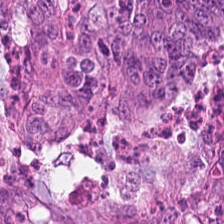H&E stain; formalin-fixed paraffin-embedded section. The tissue here is malignant epithelium.
